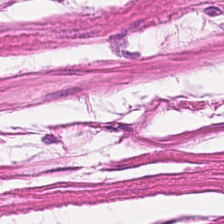Tissue: smooth muscle.
